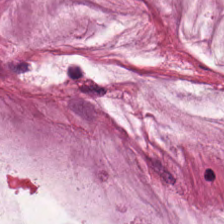Tissue class: mucin.
